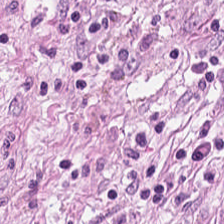Showing cancer-associated stroma.
